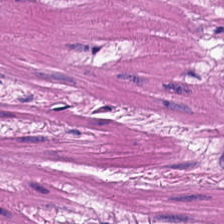H&E-stained tissue section. 0.5 microns per pixel — Showing smooth muscle.
